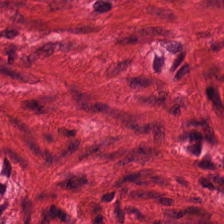Showing smooth muscle.
